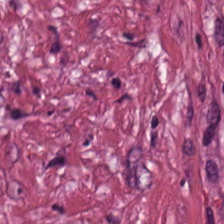20× equivalent magnification. 224×224 px tile. Hematoxylin and eosin — The predominant tissue is tumor-associated stroma.
